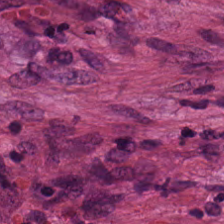H&E-stained tissue section · brightfield microscopy.
Showing tumor stroma.
